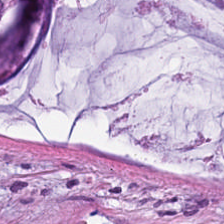Brightfield microscopy. Hematoxylin and eosin. This field is extracellular mucin.
